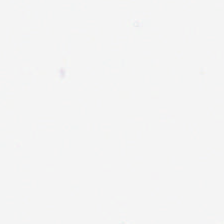Stain: H&E stain.
Tile size: 224×224 px tile.
Content: background.
